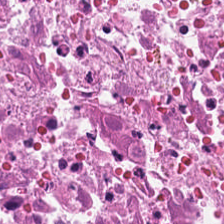Hematoxylin-and-eosin stained section — The predominant tissue is debris.
